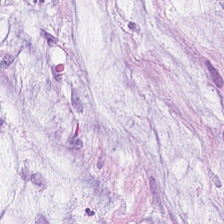224×224 pixel tile. Hematoxylin and eosin — Finding → mucus.
